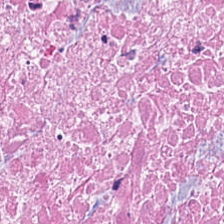H&E-stained section; the field shows necrotic debris.
